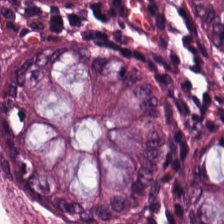Stain: H&E-stained tissue section.
Acquisition: WSI patch.
Tissue type: non-neoplastic colon mucosa.
